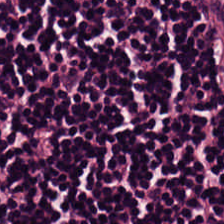This patch shows lymphocytes.
